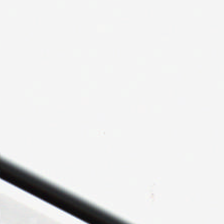Hematoxylin and eosin. FFPE.
Histology — empty background.
